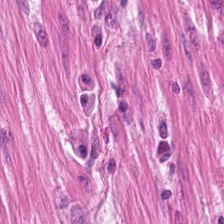0.5 microns per pixel · FFPE tissue section · H&E-stained tissue section.
Tissue class: smooth-muscle tissue.
